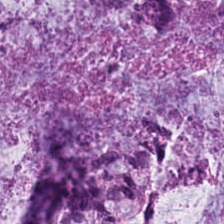Stain: H&E stain.
Resolution: 0.5 µm/px.
Tissue class: extracellular mucin.
